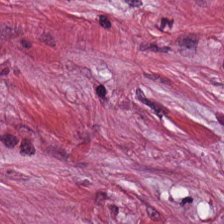FFPE tissue section; hematoxylin-and-eosin stained section. Classification = tumor-associated stroma.
